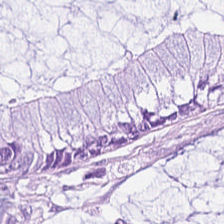Q: What is the predominant tissue type?
A: The field shows extracellular mucin.
